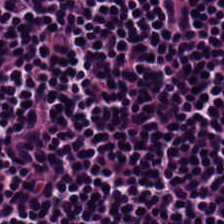Lymphocytic infiltrate.
